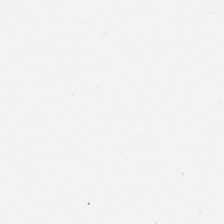0.5 µm per pixel. H&E. 224×224 px tile. Content: empty background.
